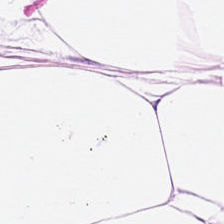Q: Identify the tissue.
A: Adipocytes.
